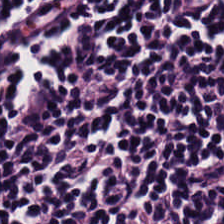Hematoxylin and eosin. Predominantly lymphoid infiltrate.
